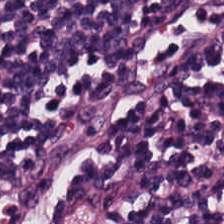H&E patch showing lymphocytic infiltrate.
